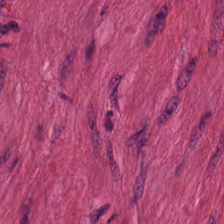H&E. Classification = smooth-muscle tissue.
